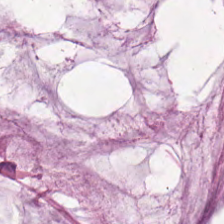This patch shows mucus.
